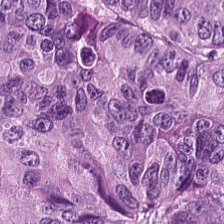H&E-stained tissue section · FFPE tissue section.
Q: What tissue type is shown here?
A: The field shows colorectal adenocarcinoma epithelium.
